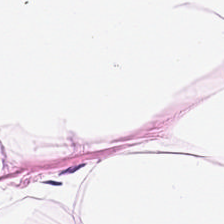WSI patch; 224×224 pixel tile; hematoxylin and eosin. Predominantly adipocytes.
